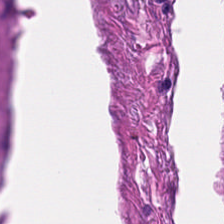224×224 px patch; H&E stain — Predominant tissue — muscularis.
